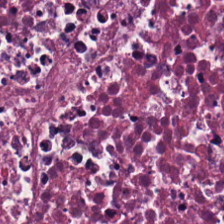Formalin-fixed paraffin-embedded section · H&E stain. Tissue — cellular debris.
